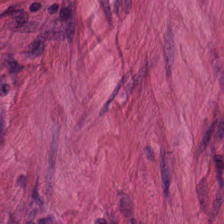The tissue type is muscularis.
